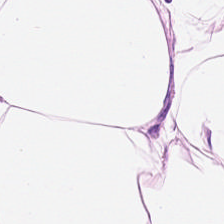This field is adipose tissue.
